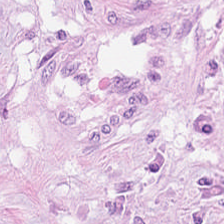Hematoxylin-and-eosin stained section; 224×224 px patch; 20× equivalent magnification. Tissue = tumor stroma.
